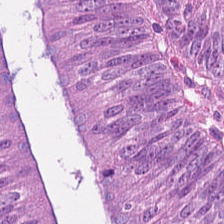H&E stain · FFPE · 0.5 microns per pixel.
This field is adenocarcinoma.
